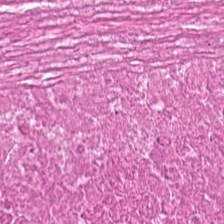Hematoxylin and eosin — Tissue type — necrotic debris.
